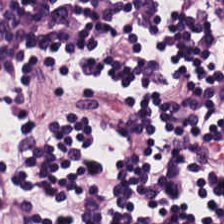H&E stain.
{"tissue_type": "lymphocytes"}
